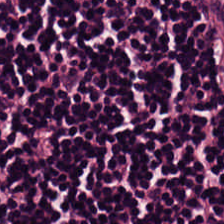H&E-stained tissue section showing lymphoid infiltrate.
